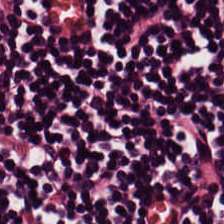Hematoxylin and eosin. Formalin-fixed paraffin-embedded section. 0.5 µm per pixel.
This field is lymphoid infiltrate.
